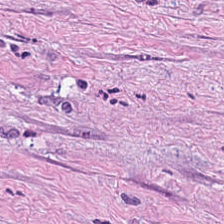Stain: hematoxylin and eosin.
Acquisition: brightfield microscopy.
Preparation: FFPE tissue section.
Tissue class: cancer-associated stroma.
